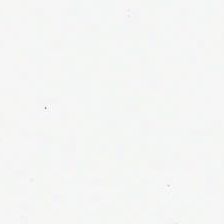FFPE; H&E stain; 224×224 px patch — Field content = empty background.
